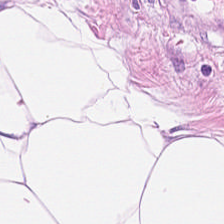Hematoxylin and eosin. Predominantly fat tissue.
